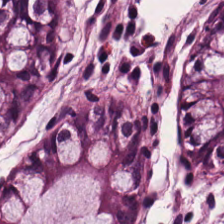H&E-stained tissue section showing non-neoplastic colon mucosa.
